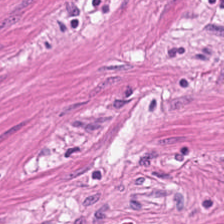Hematoxylin and eosin — Histology → smooth-muscle tissue.
